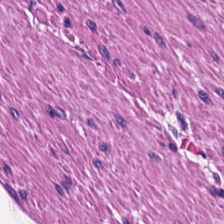Stain: hematoxylin-and-eosin stained section.
Classification: muscularis.
